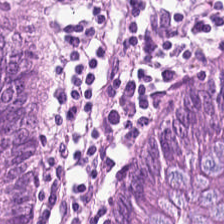Stain: H&E-stained tissue section.
Preparation: formalin-fixed paraffin-embedded section.
Predominant tissue: normal colonic mucosa.
